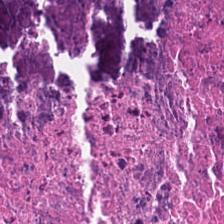H&E — The tissue here is debris.
